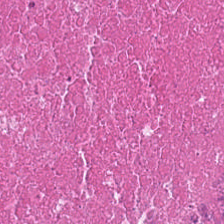H&E · 0.5 µm per pixel — Debris.
